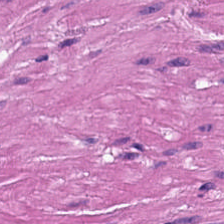FFPE tissue section; hematoxylin and eosin — This field is smooth-muscle tissue.
